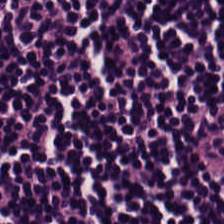Tissue class — lymphocytic infiltrate.
